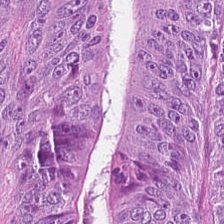224×224 pixel tile · H&E · 0.5 microns per pixel. The tissue here is malignant epithelium.
